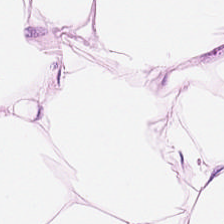H&E stain. FFPE — Predominantly fat tissue.
